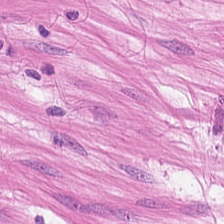Formalin-fixed paraffin-embedded section; H&E stain — The tissue class is muscularis.
